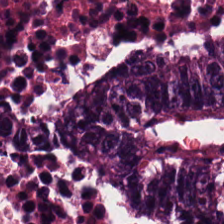Whole-slide-image patch · H&E-stained tissue section — This field is malignant epithelium.
